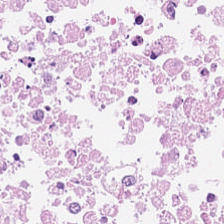Tissue class = cellular debris.
